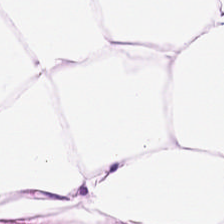FFPE tissue section; H&E-stained tissue section — Q: Identify the tissue.
A: This is adipose tissue.
